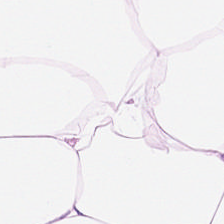Tissue class: adipocytes.
